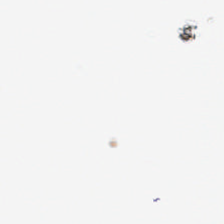Stain: H&E stain.
Content: empty background.
